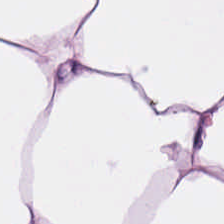Predominantly fat tissue.
